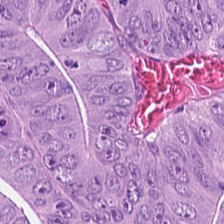Stain: H&E-stained tissue section.
Tissue type: colorectal adenocarcinoma epithelium.
